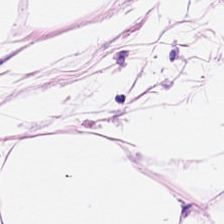H&E stain · 224×224 px patch.
This patch shows fat tissue.
